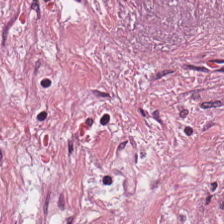FFPE · hematoxylin and eosin.
This field is desmoplastic stroma.
